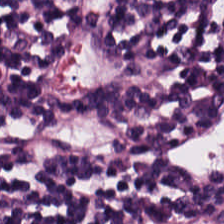H&E — {"tissue_type": "lymphocyte aggregate"}
